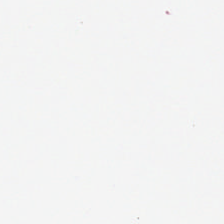Hematoxylin-and-eosin stained section. Background — no tissue in this field.
